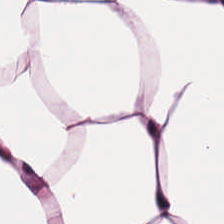Hematoxylin and eosin. Tissue type = fat tissue.
